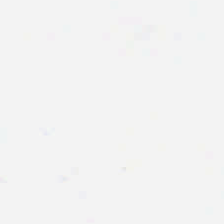Stain: hematoxylin and eosin.
Field content: no tissue.
